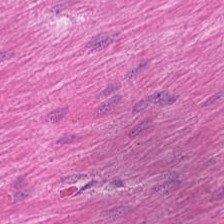H&E. Tissue class = muscularis.
